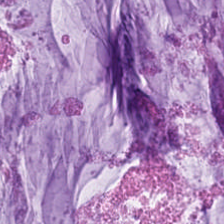H&E. FFPE tissue section — Showing mucin.
